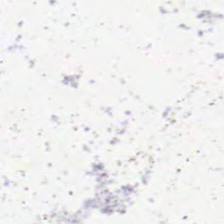Stain: H&E.
Field content: background.
